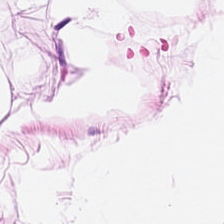FFPE tissue section · hematoxylin-and-eosin stained section — Classification — adipose tissue.
